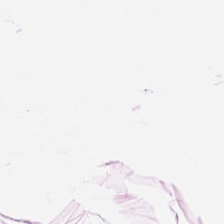Brightfield microscopy; H&E; 0.5 µm per pixel. Tissue = adipose tissue.
